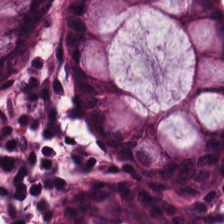Q: Classify this patch.
A: It is normal colonic mucosa.
